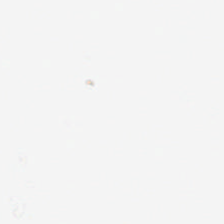Stain: H&E stain.
Acquisition: whole-slide-image patch.
Preparation: FFPE.
Content: empty background.
